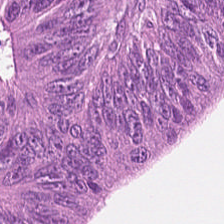Hematoxylin and eosin; 20× equivalent magnification. The predominant tissue is adenocarcinoma.
